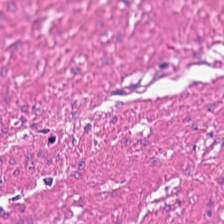224×224 px patch · hematoxylin and eosin — Predominantly muscularis.
